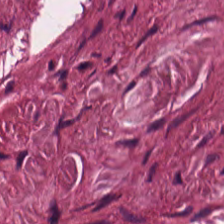Q: What does this patch show?
A: It is tumor stroma.
